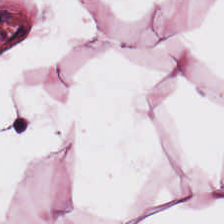20× equivalent magnification; hematoxylin-and-eosin stained section.
Q: Identify the tissue.
A: This is adipose.
